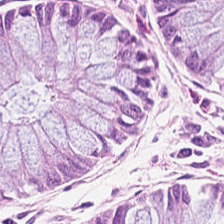Stain: H&E-stained tissue section.
Preparation: formalin-fixed paraffin-embedded section.
Tissue type: non-neoplastic colon mucosa.
